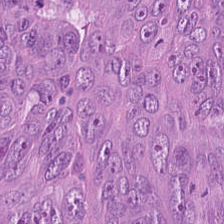Stain: H&E stain.
Resolution: 20× equivalent magnification.
Acquisition: WSI patch.
Tissue type: tumor epithelium.
